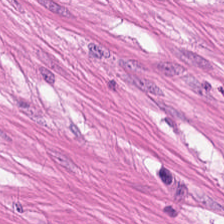Hematoxylin and eosin.
Tissue: smooth muscle.
